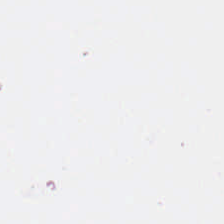H&E-stained tissue section; 224×224 px patch. Q: What is shown in this field?
A: The field shows no tissue.
